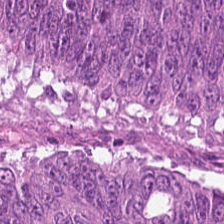Stain: H&E stain.
Tile size: 224×224 pixel tile.
Tissue type: colorectal adenocarcinoma.
